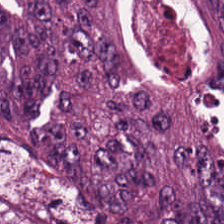Hematoxylin and eosin — Q: What is shown here?
A: Malignant epithelium.
